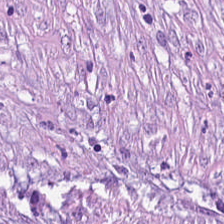H&E-stained tissue section. Q: What does this patch show?
A: This is tumor stroma.
